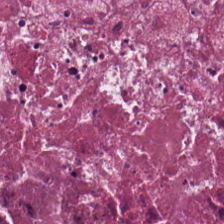Stain: H&E stain.
Resolution: 0.5 µm/px.
Classification: debris.
